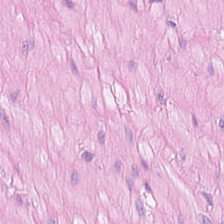H&E-stained tissue section.
The tissue type is smooth-muscle tissue.
